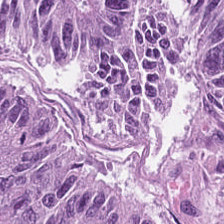Hematoxylin-and-eosin stained section.
Malignant epithelium.
